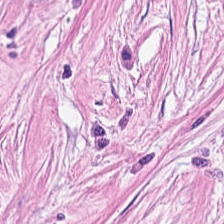Hematoxylin-and-eosin stained section.
Finding — tumor stroma.
